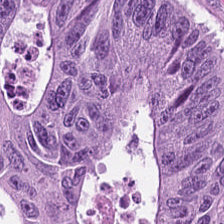Stain: hematoxylin and eosin.
Tissue class: colorectal adenocarcinoma.
